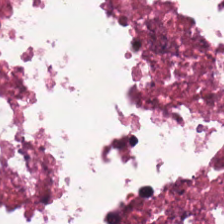H&E stain. Finding — cellular debris.
